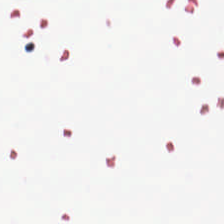0.5 µm/px; H&E stain — No tissue present; background only.
